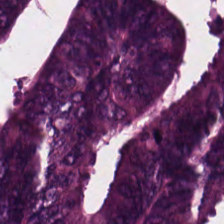Impression → colorectal adenocarcinoma epithelium.
